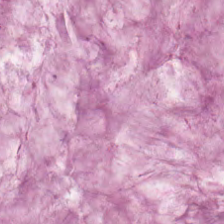Hematoxylin-and-eosin stained section. Showing mucus.
